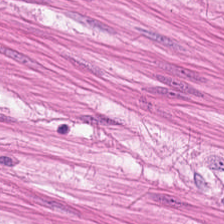FFPE tissue section · whole-slide-image patch · H&E-stained tissue section.
Q: What tissue is shown?
A: It is muscularis.
